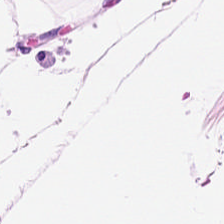H&E-stained tissue section showing adipocytes.
